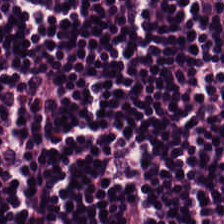H&E-stained section; the field shows lymphoid infiltrate.
